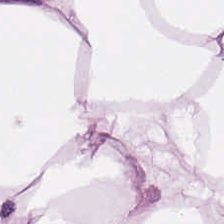Q: What type of tissue is this?
A: This is adipose.
